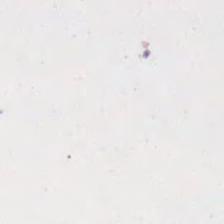This field is background (no tissue).
